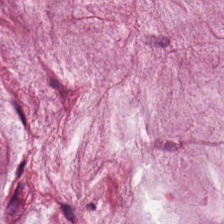Stain: hematoxylin-and-eosin stained section.
Classification: mucus.
